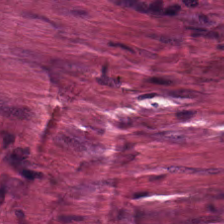Stain: hematoxylin and eosin.
Tissue: cancer-associated stroma.
